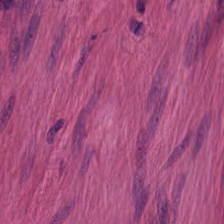Brightfield microscopy · H&E-stained tissue section.
Showing smooth-muscle tissue.
